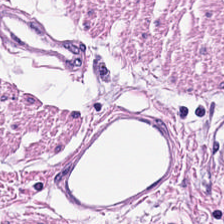H&E — Classification = smooth muscle.
